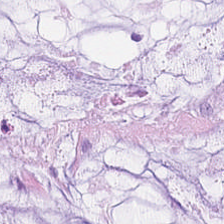H&E stain. Tissue class = extracellular mucin.
